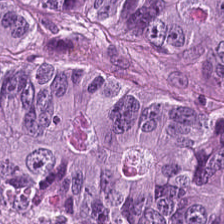Hematoxylin-and-eosin stained section. Whole-slide-image patch. 224×224 px tile.
Impression → colorectal adenocarcinoma.
